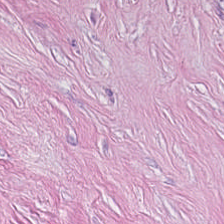FFPE tissue section. Hematoxylin and eosin.
{"tissue_type": "cancer-associated stroma"}
